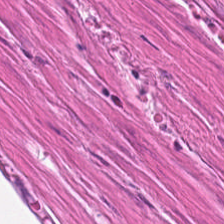H&E-stained tissue section. Whole-slide-image patch — Smooth-muscle tissue.
